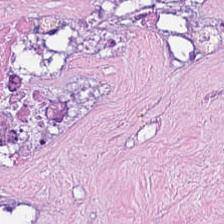H&E patch showing necrotic debris.
